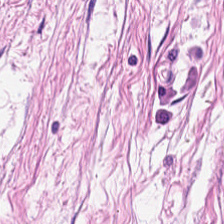H&E.
Tumor stroma.
